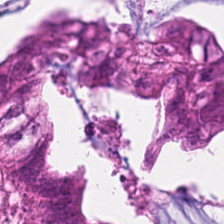H&E stain.
Showing colorectal adenocarcinoma.
